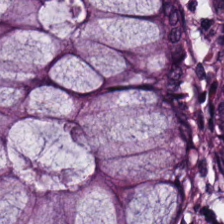H&E stain. Finding → benign colonic mucosa.
